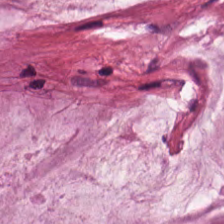224×224 px tile · brightfield · hematoxylin-and-eosin stained section. Predominantly mucin.
